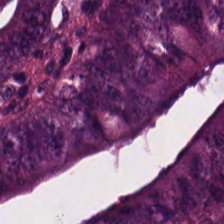WSI patch. H&E stain.
The tissue is colorectal adenocarcinoma epithelium.
